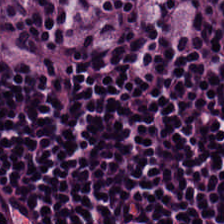Hematoxylin-and-eosin stained section. The predominant tissue is lymphocytic infiltrate.
